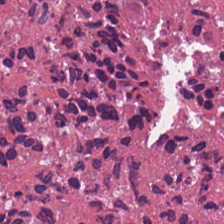Hematoxylin and eosin; 224×224 px patch — Histology → necrotic debris.
